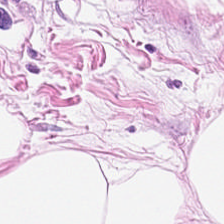224×224 px tile; formalin-fixed paraffin-embedded section; H&E.
Q: What tissue is shown?
A: Adipose.
